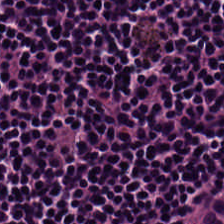H&E.
Predominantly lymphocytic infiltrate.
